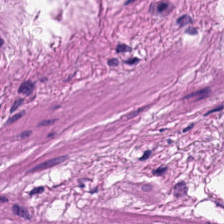H&E stain.
Tissue class = smooth muscle.
